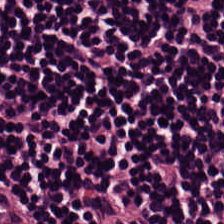Tissue class: lymphoid infiltrate.
